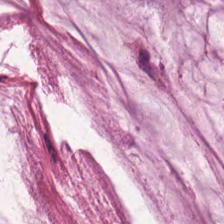H&E stain. Mucin.
